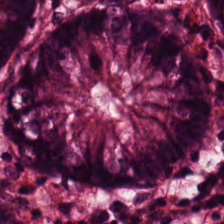FFPE. H&E — This field is normal colon mucosa.
